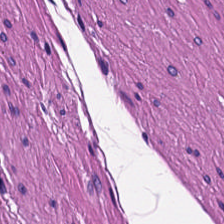H&E.
Finding → muscularis.
